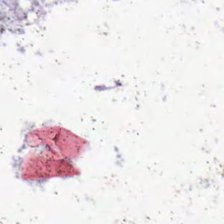Hematoxylin and eosin.
The content is background (no tissue).
